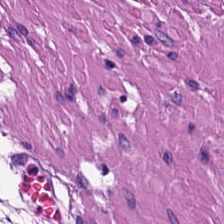0.5 microns per pixel. H&E. Predominantly smooth-muscle tissue.
